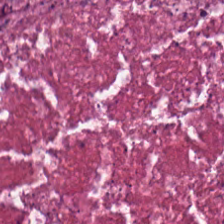H&E stain — The tissue here is debris.
